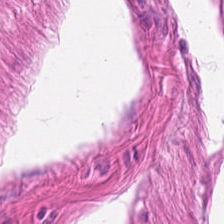H&E stain; brightfield microscopy; formalin-fixed paraffin-embedded section.
Showing muscularis.
